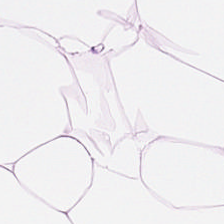Predominant tissue: adipocytes.
